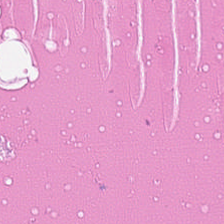224×224 px patch. Hematoxylin-and-eosin stained section — This patch shows necrotic debris.
